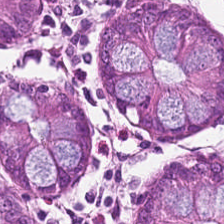Predominantly normal colonic mucosa.
